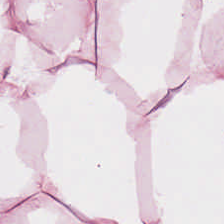H&E-stained section; the field shows adipocytes.
